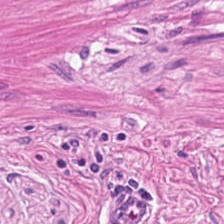224×224 px patch. Hematoxylin and eosin.
This patch shows muscularis.
